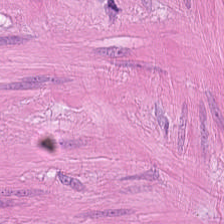Stain: hematoxylin-and-eosin stained section.
Acquisition: WSI patch.
Tissue: smooth muscle.
